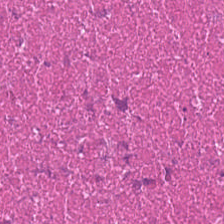H&E stain. Predominant tissue: debris.
